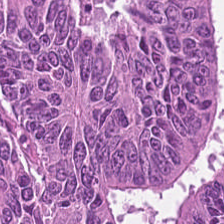Stain: H&E stain.
Classification: colorectal adenocarcinoma.
